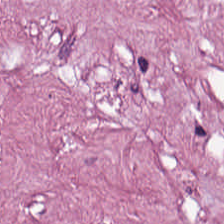The tissue here is tumor stroma.
